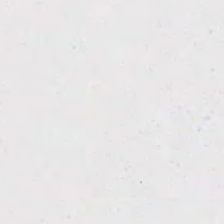20× equivalent magnification · H&E-stained tissue section · WSI patch.
Q: What does this patch show?
A: Empty background.
